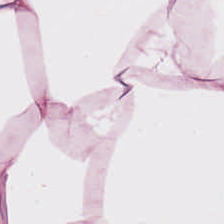FFPE. H&E. Q: Classify this patch.
A: Adipose tissue.
